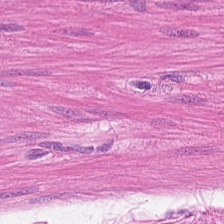H&E stain. Histology — smooth muscle.
